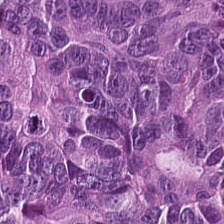Formalin-fixed paraffin-embedded section; hematoxylin and eosin. Impression — adenocarcinoma.
